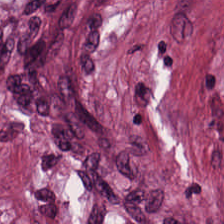H&E stain. Tissue type: tumor stroma.
